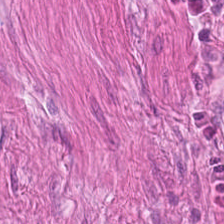H&E stain — Predominant tissue = smooth muscle.
